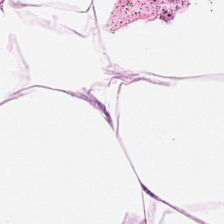224×224 px tile · H&E-stained tissue section · 0.5 microns per pixel.
This patch shows adipose.
